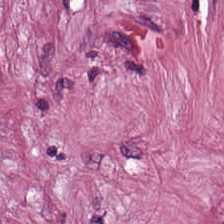H&E stain; whole-slide-image patch; 0.5 µm per pixel.
The tissue is tumor stroma.
